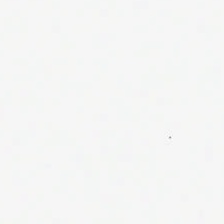0.5 µm/px. Hematoxylin-and-eosin stained section.
Background — no tissue in this field.
